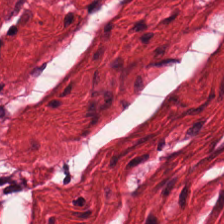Q: What is shown in this field?
A: Smooth-muscle tissue.
